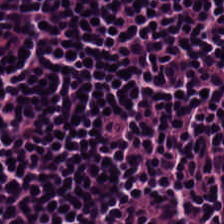Tissue class = lymphocytes.
